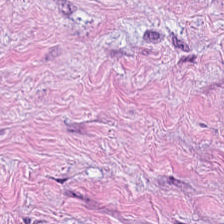Tissue type = tumor stroma.
